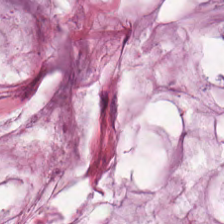Hematoxylin-and-eosin stained section.
Mucin.
